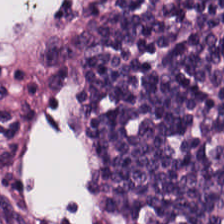H&E stain. 224×224 px patch.
Q: Identify the tissue.
A: The field shows lymphocytes.
